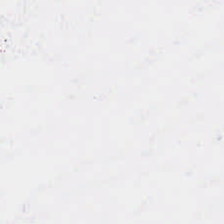H&E-stained tissue section.
Q: What is shown in this field?
A: This is background.
